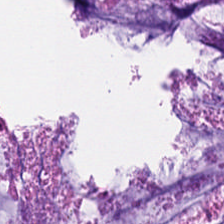H&E — Histology → mucin.
